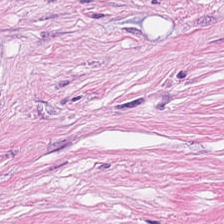Stain: hematoxylin and eosin.
Tile size: 224×224 px tile.
Classification: tumor stroma.
